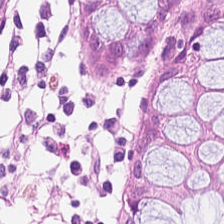Hematoxylin-and-eosin stained section. WSI patch — Classification — normal colon mucosa.
